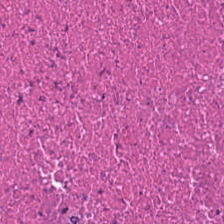Hematoxylin and eosin.
This field is necrotic debris.
